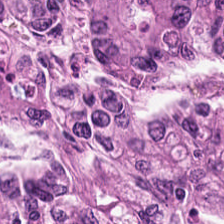Hematoxylin and eosin.
The tissue here is tumor epithelium.
